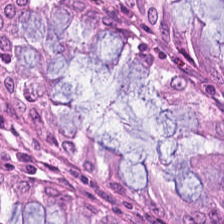Brightfield. H&E-stained tissue section.
Showing non-neoplastic colon mucosa.
